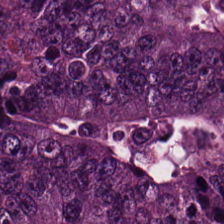Hematoxylin-and-eosin stained section. Q: What tissue type is shown here?
A: Colorectal adenocarcinoma epithelium.
